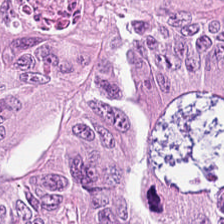Classification: malignant epithelium.
